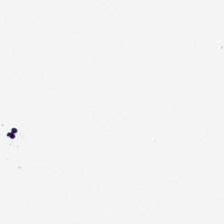H&E-stained tissue section. 20× equivalent magnification — Field content — no tissue.
